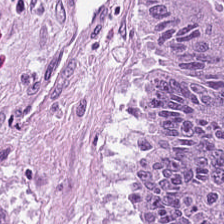H&E patch showing adenocarcinoma.
